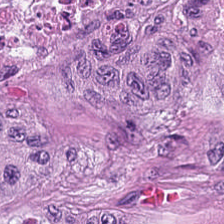Hematoxylin-and-eosin stained section — The tissue here is malignant epithelium.
